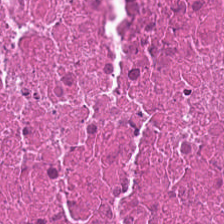The predominant tissue is cellular debris.
